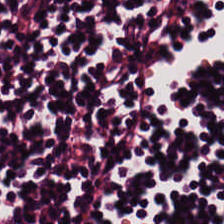H&E-stained section; the field shows lymphocyte aggregate.
